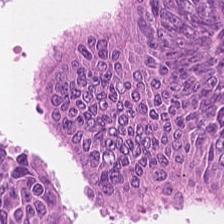H&E-stained tissue section — {"tissue_type": "colorectal adenocarcinoma"}
